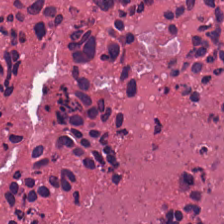Hematoxylin-and-eosin stained section · 0.5 µm per pixel · formalin-fixed paraffin-embedded section.
Tissue type — necrotic debris.
